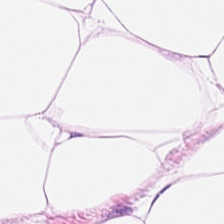Formalin-fixed paraffin-embedded section · 0.5 microns per pixel · H&E stain. Predominantly adipocytes.
